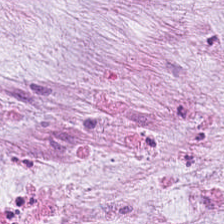H&E-stained tissue section. The classification is extracellular mucin.
